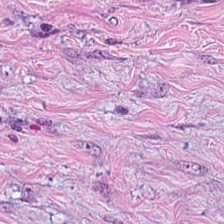H&E stain. Q: Identify the tissue.
A: Tumor stroma.
